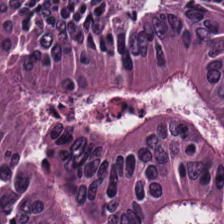Hematoxylin-and-eosin stained section; 224×224 px patch.
This patch shows colorectal adenocarcinoma.
